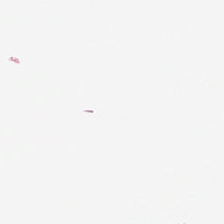FFPE. H&E-stained tissue section — Content = background.
